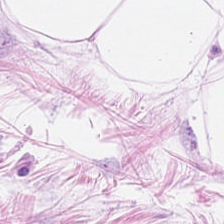Tissue class — adipose tissue.
